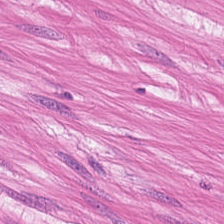Tissue class — muscularis.
